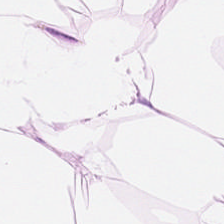H&E.
Q: What does this patch show?
A: The field shows adipocytes.
